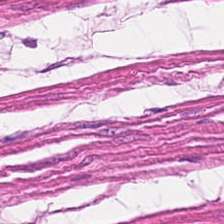Stain: H&E.
Tissue: smooth muscle.
